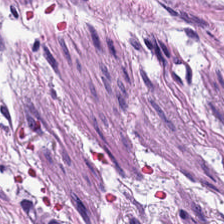H&E-stained tissue section · formalin-fixed paraffin-embedded section. Predominant tissue — tumor-associated stroma.
